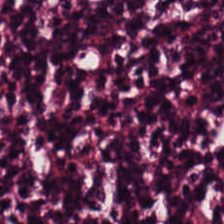Brightfield; H&E-stained tissue section; FFPE tissue section.
The tissue here is lymphocyte aggregate.
